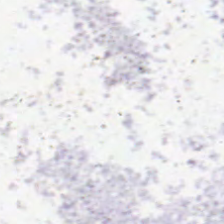H&E; brightfield microscopy — Background (no tissue).
